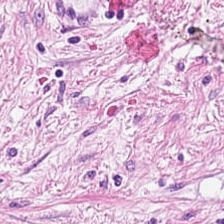H&E.
The predominant tissue is tumor stroma.
